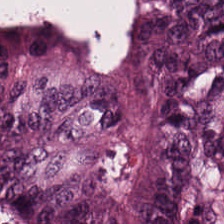224×224 pixel tile · formalin-fixed paraffin-embedded section · H&E stain — The tissue type is malignant epithelium.
